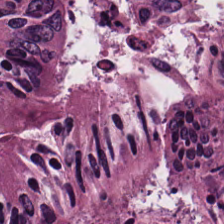H&E-stained tissue section showing colorectal adenocarcinoma.
